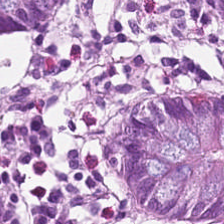Brightfield microscopy · hematoxylin-and-eosin stained section. Showing benign colonic mucosa.
